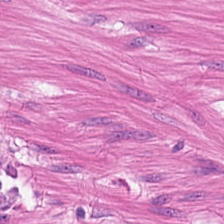224×224 px patch · H&E stain. The tissue here is smooth muscle.
